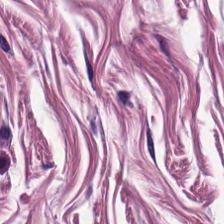Hematoxylin-and-eosin stained section · 0.5 µm/px — Impression → muscularis.
